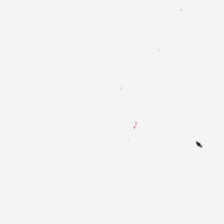Empty field — no tissue.
